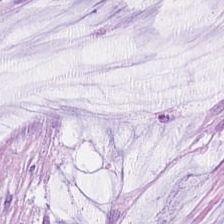Hematoxylin and eosin — Q: What tissue is shown?
A: Mucus.
